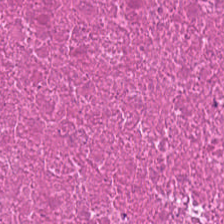Hematoxylin-and-eosin stained section. FFPE — {"tissue_type": "debris"}
